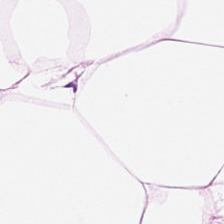Hematoxylin-and-eosin stained section. Predominant tissue = adipose tissue.
